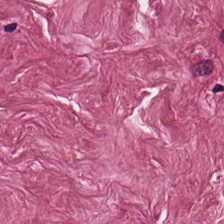H&E stain · 224×224 pixel tile. Predominant tissue — cancer-associated stroma.
